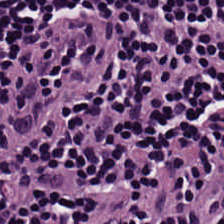Brightfield microscopy; H&E stain — Q: What is shown in this field?
A: The field shows lymphocytic infiltrate.
